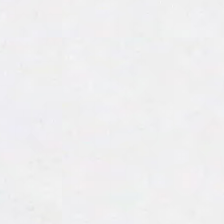H&E-stained tissue section — Background.
